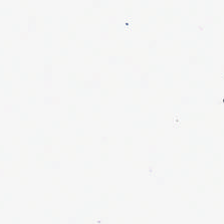Hematoxylin and eosin.
Empty field — empty background.
